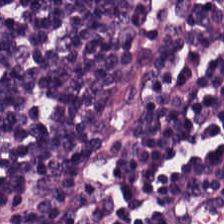H&E; 224×224 pixel tile; brightfield — Showing lymphocytic infiltrate.
